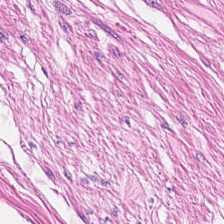H&E — smooth-muscle tissue.
